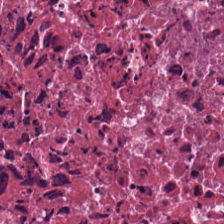Hematoxylin-and-eosin stained section; brightfield.
Q: Classify this patch.
A: This is necrotic debris.
